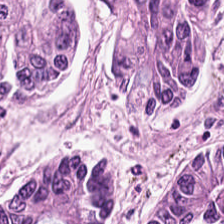Tissue class: tumor epithelium.
